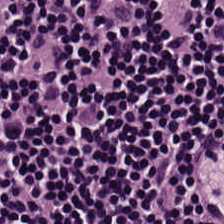20× equivalent magnification · H&E stain · brightfield. This patch shows lymphocytic infiltrate.
